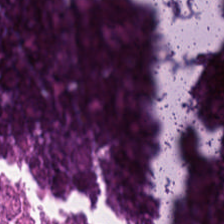Formalin-fixed paraffin-embedded section; brightfield; H&E stain — Cellular debris.
